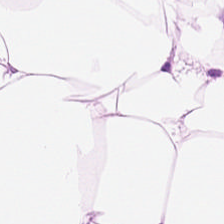Q: Identify the tissue.
A: The field shows fat tissue.
